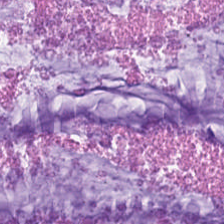Histology — mucus.
